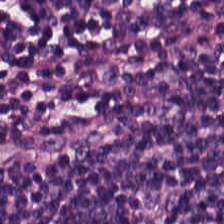Stain: hematoxylin and eosin.
Tile size: 224×224 px tile.
Acquisition: whole-slide-image patch.
Tissue: lymphocytic infiltrate.
